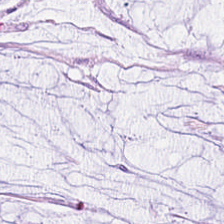Hematoxylin-and-eosin stained section · 0.5 µm per pixel · 224×224 pixel tile — Extracellular mucin.
